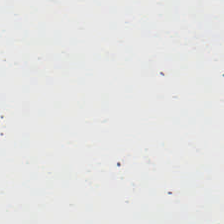H&E-stained tissue section. Classification = background.
